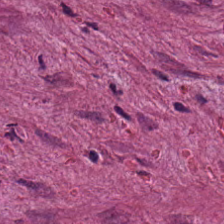Stain: H&E.
Classification: desmoplastic stroma.
